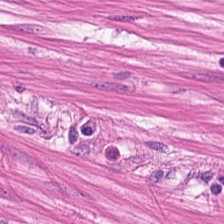224×224 px patch; hematoxylin-and-eosin stained section; brightfield microscopy — Q: What type of tissue is this?
A: This is smooth muscle.
